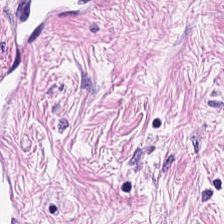H&E.
The predominant tissue is cancer-associated stroma.
